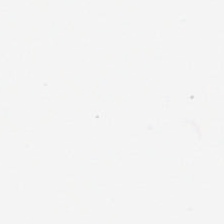Hematoxylin and eosin. Classification — no tissue.
